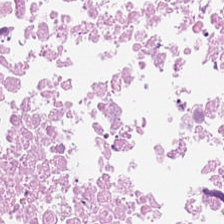H&E. Q: What does this patch show?
A: This is cellular debris.
